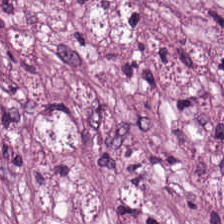H&E stain — Q: What is shown here?
A: Cancer-associated stroma.
